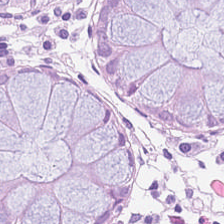H&E-stained tissue section. Q: What tissue type is shown here?
A: Benign colonic mucosa.
